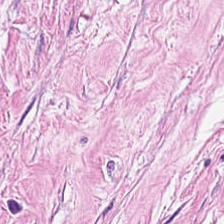224×224 pixel tile; H&E; FFPE tissue section. This field is tumor stroma.
